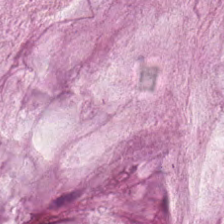H&E stain. FFPE.
Showing mucus.
